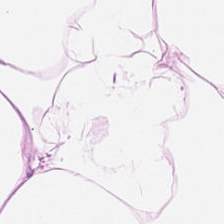Stain: H&E stain.
Tissue: adipose tissue.
